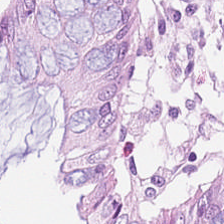Stain: H&E.
Tile size: 224×224 pixel tile.
Tissue class: non-neoplastic colon mucosa.
